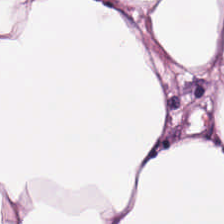Stain: H&E.
Resolution: 0.5 µm per pixel.
Tile size: 224×224 pixel tile.
Tissue class: adipocytes.
